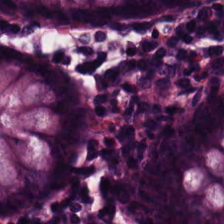H&E-stained tissue section showing benign colonic mucosa.
